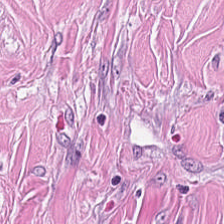FFPE; H&E stain — Q: What is the predominant tissue type?
A: Tumor-associated stroma.
